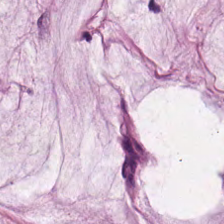Brightfield microscopy; H&E.
The predominant tissue is mucin.
